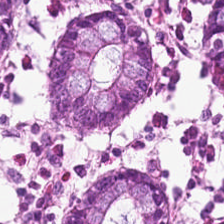Hematoxylin-and-eosin stained section.
The tissue here is non-neoplastic colon mucosa.
